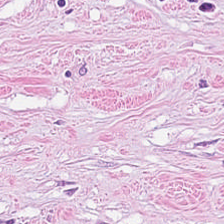WSI patch; H&E-stained tissue section — {"tissue_type": "desmoplastic stroma"}
